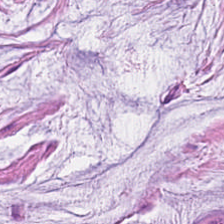FFPE tissue section. H&E.
Q: What type of tissue is this?
A: This is mucin.
